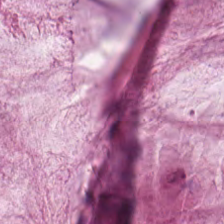H&E.
The predominant tissue is mucin.
